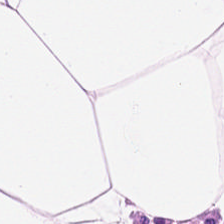Hematoxylin and eosin. Histology → fat tissue.
